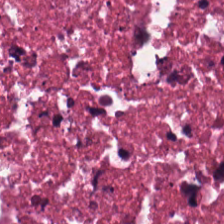224×224 pixel tile. H&E.
Impression — debris.
